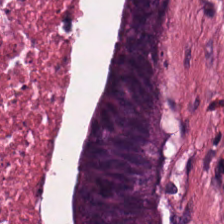H&E stain. 224×224 pixel tile — Predominant tissue: necrotic debris.
